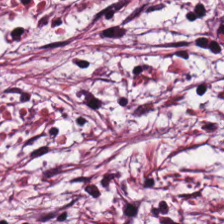H&E-stained section; the field shows cancer-associated stroma.
